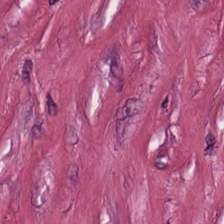WSI patch; FFPE; H&E stain — The tissue is cancer-associated stroma.
